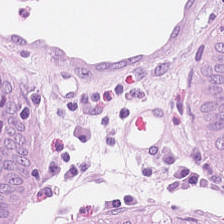Q: What is shown in this field?
A: Non-neoplastic colon mucosa.
